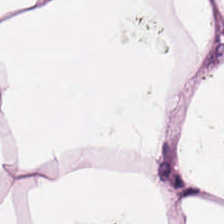H&E. Q: What is the predominant tissue type?
A: The field shows adipocytes.
